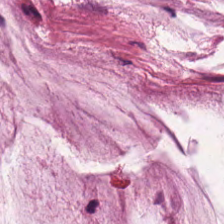Hematoxylin and eosin — {"tissue_type": "mucus"}
